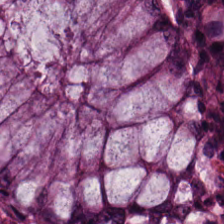H&E stain · brightfield · FFPE. The predominant tissue is normal colonic mucosa.
